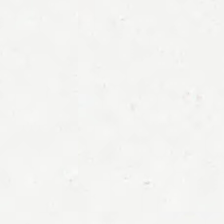H&E stain.
This field is background (no tissue).
